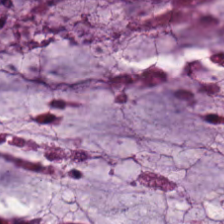Q: What is shown here?
A: This is mucus.
